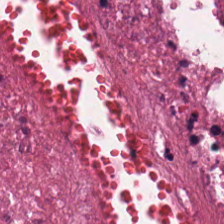The tissue type is debris.
